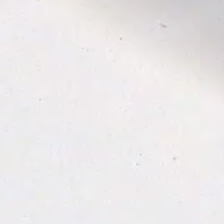Hematoxylin-and-eosin stained section. No tissue present; background only.
